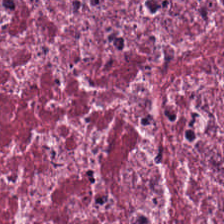Hematoxylin-and-eosin section: tumor-associated stroma.
